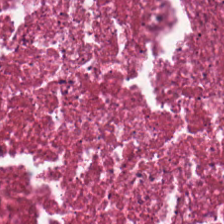H&E — Q: Classify this patch.
A: The field shows cellular debris.
